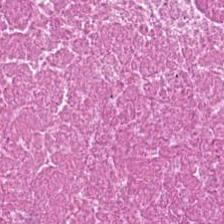FFPE tissue section · hematoxylin and eosin — Q: What type of tissue is this?
A: It is cellular debris.
